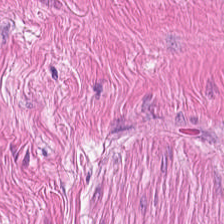Hematoxylin and eosin. Whole-slide-image patch.
The predominant tissue is smooth muscle.
